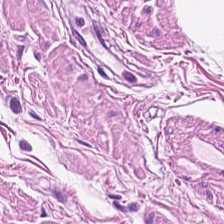H&E stain — This field is smooth muscle.
